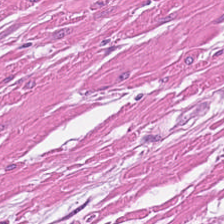0.5 µm/px. H&E.
Classification = smooth-muscle tissue.
